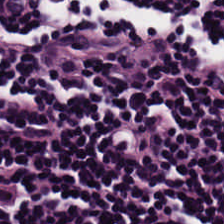Hematoxylin-and-eosin stained section. Q: What is the predominant tissue type?
A: Lymphoid infiltrate.
